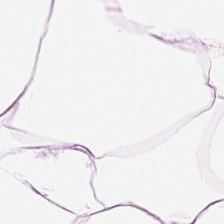Hematoxylin-and-eosin stained section.
Showing fat tissue.
